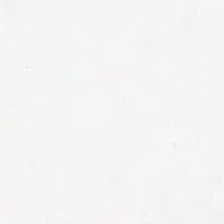FFPE tissue section; H&E-stained tissue section; brightfield microscopy — Q: What is shown in this field?
A: The field shows background (no tissue).
